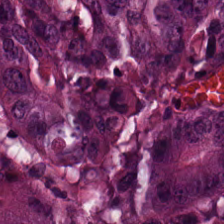Hematoxylin and eosin · formalin-fixed paraffin-embedded section · whole-slide-image patch. Histology → colorectal adenocarcinoma epithelium.
